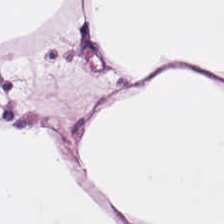Formalin-fixed paraffin-embedded section. H&E stain. The predominant tissue is adipose.
